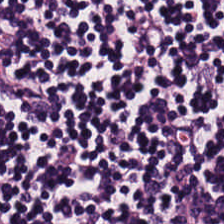Tissue type = lymphocytic infiltrate.
